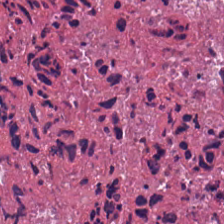H&E-stained tissue section — Predominantly necrotic debris.
